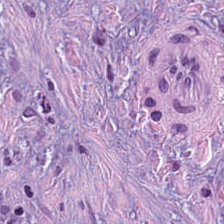Tumor stroma.
